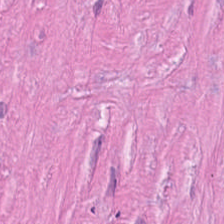224×224 px tile · formalin-fixed paraffin-embedded section · H&E. Finding — tumor stroma.
